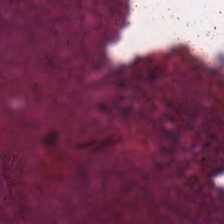H&E · 0.5 µm/px. Cellular debris.
